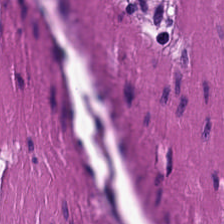WSI patch; hematoxylin-and-eosin stained section. Predominant tissue: smooth muscle.
